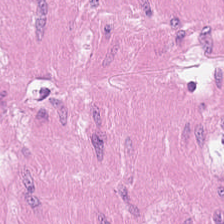Hematoxylin-and-eosin stained section — This field is smooth-muscle tissue.
